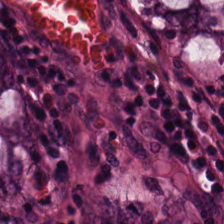Hematoxylin and eosin — This patch shows normal colon mucosa.
